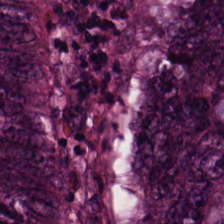Hematoxylin-and-eosin stained section. 0.5 microns per pixel — {"tissue_type": "malignant epithelium"}
